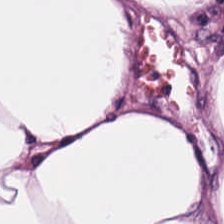Hematoxylin-and-eosin stained section — The predominant tissue is adipose.
